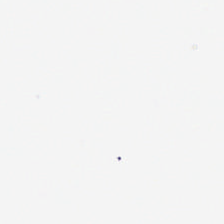Hematoxylin and eosin.
Background — no tissue in this field.
